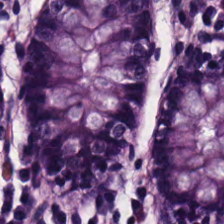H&E stain — Q: What is shown here?
A: This is benign colonic mucosa.
